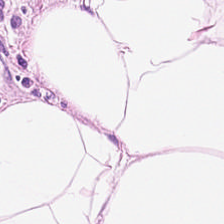Hematoxylin and eosin.
Predominantly adipose tissue.
